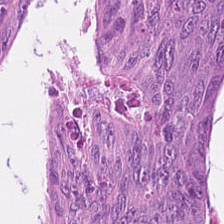H&E — colorectal adenocarcinoma epithelium.
